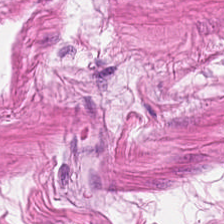224×224 pixel tile. H&E-stained tissue section. 0.5 µm/px.
Smooth-muscle tissue.
